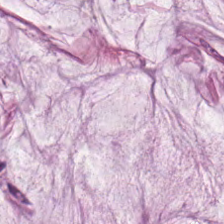Tissue = extracellular mucin.
